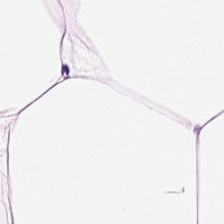Brightfield microscopy. Hematoxylin-and-eosin stained section. 0.5 µm per pixel. This field is adipocytes.
